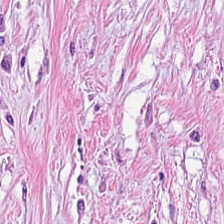Tissue — tumor stroma.
